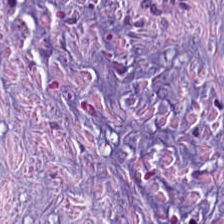Hematoxylin-and-eosin stained section. 20× equivalent magnification — The tissue here is tumor-associated stroma.
